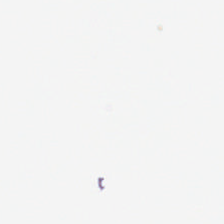Stain: hematoxylin and eosin.
Acquisition: whole-slide-image patch.
Preparation: FFPE.
Field content: no tissue.
